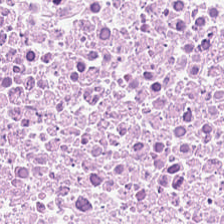Q: What is the predominant tissue type?
A: Debris.
